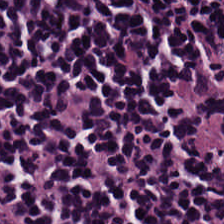Stain: H&E-stained tissue section.
Tile size: 224×224 px patch.
Resolution: 20× equivalent magnification.
Tissue type: lymphocytes.
